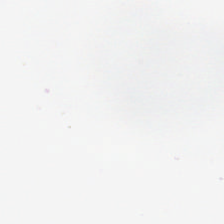H&E-stained tissue section · whole-slide-image patch · 0.5 microns per pixel — {"content": "empty background"}
